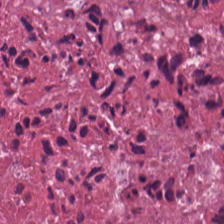Hematoxylin-and-eosin section: cellular debris.
